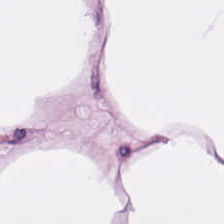224×224 px tile. H&E stain.
Predominantly fat tissue.
